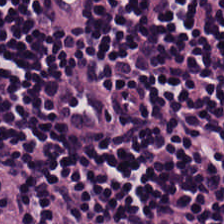The predominant tissue is lymphocytes.
